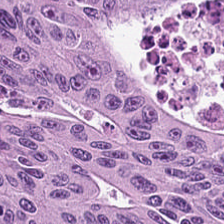Hematoxylin-and-eosin stained section — Classification: colorectal adenocarcinoma epithelium.
